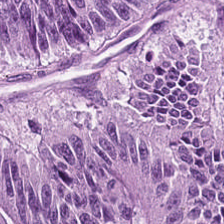Hematoxylin-and-eosin stained section; 0.5 µm/px; FFPE.
{"tissue_type": "malignant epithelium"}
